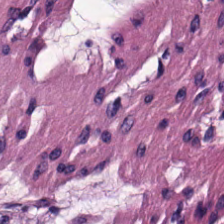H&E stain. Predominantly smooth muscle.
